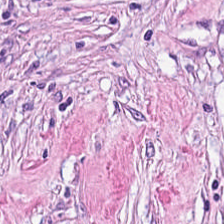H&E stain. FFPE. Showing tumor stroma.
